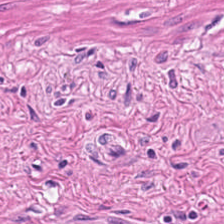Hematoxylin and eosin. Tissue class: smooth-muscle tissue.
